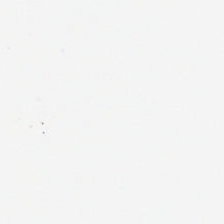Hematoxylin-and-eosin stained section. FFPE. No tissue present; background only.
